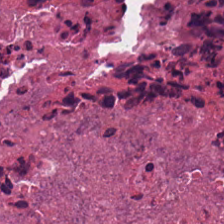Hematoxylin-and-eosin stained section · 224×224 pixel tile.
The tissue here is necrotic debris.
